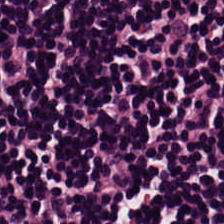H&E-stained tissue section. Q: Classify this patch.
A: Lymphocyte aggregate.
